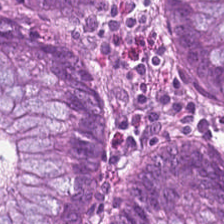The tissue type is normal colonic mucosa.
